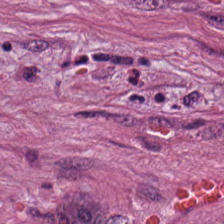Classification = tumor-associated stroma.
